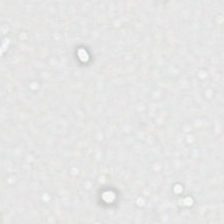H&E. Impression — background (no tissue).
